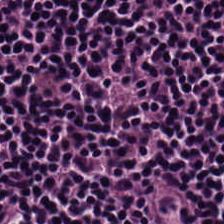Q: What is shown in this field?
A: The field shows lymphocytic infiltrate.
